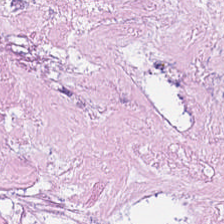Hematoxylin-and-eosin stained section. Formalin-fixed paraffin-embedded section. Finding → debris.
